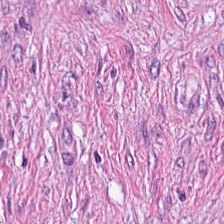Q: What does this patch show?
A: Tumor stroma.
